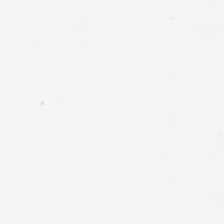Brightfield microscopy · H&E-stained tissue section. Empty background.
